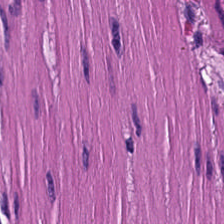Stain: H&E stain.
Tissue: muscularis.
